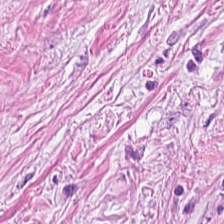H&E-stained tissue section.
The tissue class is desmoplastic stroma.
